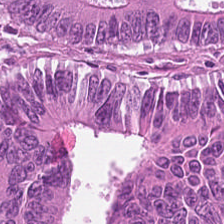Q: What is shown in this field?
A: The field shows tumor epithelium.
